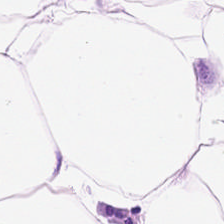Tissue = adipose.
